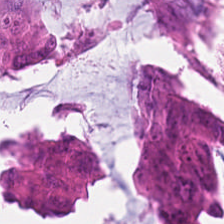H&E — This field is malignant epithelium.
